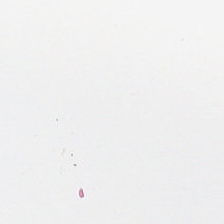H&E stain · brightfield — No tissue present; background only.
